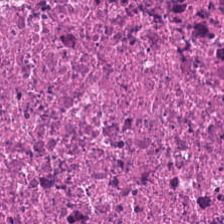Hematoxylin-and-eosin stained section.
This field is necrotic debris.
